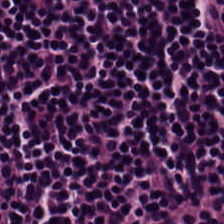224×224 pixel tile · H&E.
Tissue class = lymphocytes.
